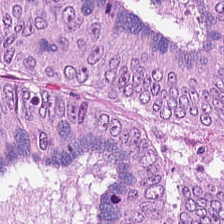H&E-stained tissue section — Tissue class — colorectal adenocarcinoma epithelium.
